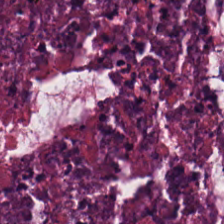H&E stain · formalin-fixed paraffin-embedded section — Predominantly cellular debris.
